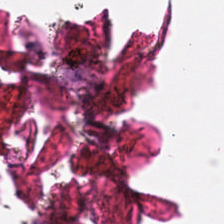Stain: H&E-stained tissue section.
Resolution: 0.5 µm per pixel.
Classification: no tissue.
